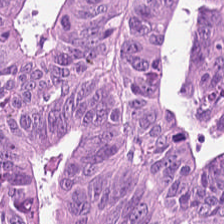H&E-stained tissue section — Predominant tissue: tumor epithelium.
